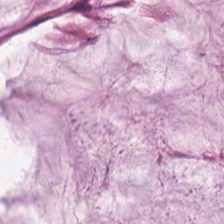Hematoxylin-and-eosin stained section.
Showing mucus.
